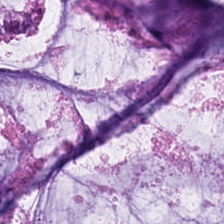H&E-stained tissue section — The predominant tissue is extracellular mucin.
